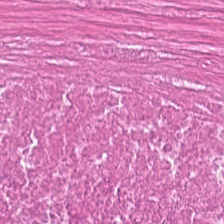H&E-stained tissue section. {"tissue_type": "necrotic debris"}
